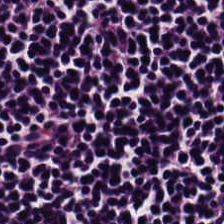Stain: H&E-stained tissue section.
Preparation: FFPE.
Predominant tissue: lymphocytic infiltrate.
